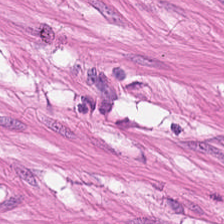224×224 px tile · whole-slide-image patch · H&E stain — Tissue type = muscularis.
